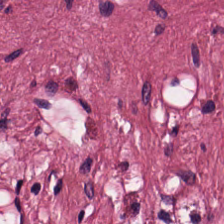Hematoxylin-and-eosin stained section — Predominantly cancer-associated stroma.
